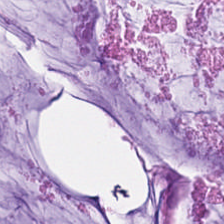0.5 µm/px. Hematoxylin and eosin.
This field is mucin.
